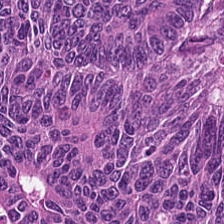Hematoxylin and eosin; 224×224 px patch; formalin-fixed paraffin-embedded section — This field is malignant epithelium.
